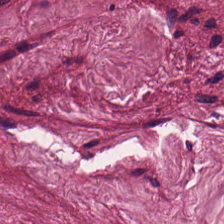224×224 px patch · hematoxylin-and-eosin stained section.
{"tissue_type": "cancer-associated stroma"}
